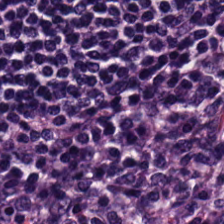224×224 px tile. H&E-stained tissue section.
The predominant tissue is lymphoid infiltrate.
